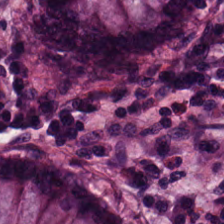H&E — benign colonic mucosa.
